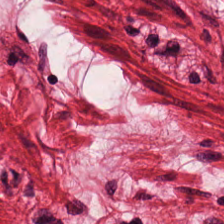H&E-stained tissue section. Tissue type: muscularis.
